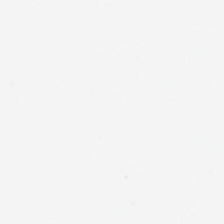H&E.
Background (no tissue).
